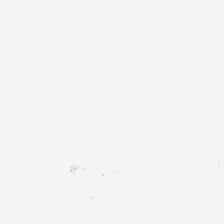H&E; 0.5 microns per pixel.
Finding — background (no tissue).
